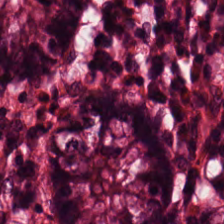Hematoxylin-and-eosin stained section — Classification: normal colonic mucosa.
